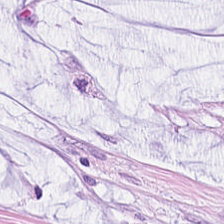224×224 px patch · whole-slide-image patch · hematoxylin and eosin.
Q: What type of tissue is this?
A: The field shows mucin.
